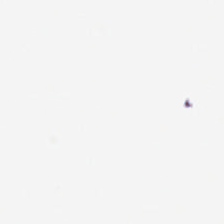Empty field — background (no tissue).
